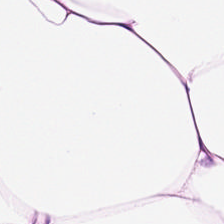Hematoxylin and eosin. 20× equivalent magnification. FFPE tissue section.
Predominantly adipose tissue.
